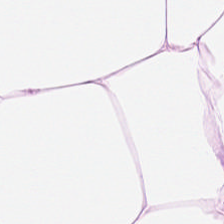Hematoxylin-and-eosin stained section — Adipocytes.
